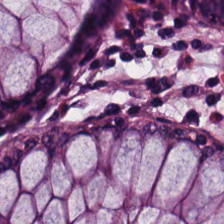Formalin-fixed paraffin-embedded section · H&E-stained tissue section. The tissue class is non-neoplastic colon mucosa.
